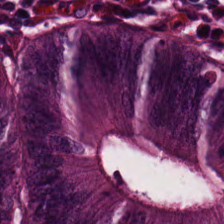0.5 µm per pixel; brightfield; hematoxylin and eosin.
Tissue — colorectal adenocarcinoma epithelium.
